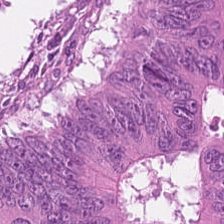Whole-slide-image patch · H&E — Predominantly adenocarcinoma.
